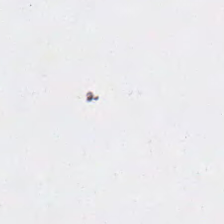The field content is background.
